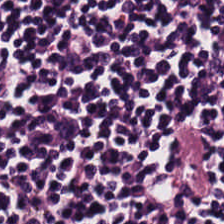H&E stain. Tissue type — lymphocyte aggregate.
